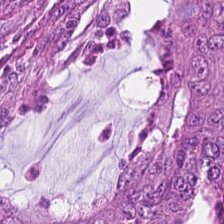Hematoxylin and eosin. This patch shows colorectal adenocarcinoma epithelium.
